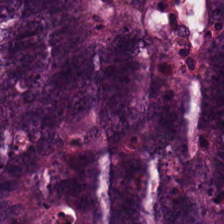0.5 microns per pixel · hematoxylin and eosin · brightfield. Histology → colorectal adenocarcinoma.
